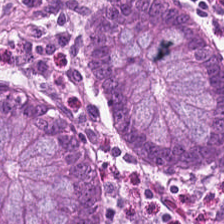H&E stain; 0.5 microns per pixel; 224×224 px patch — The predominant tissue is normal colonic mucosa.
